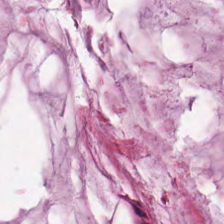Hematoxylin-and-eosin stained section — The tissue here is mucin.
